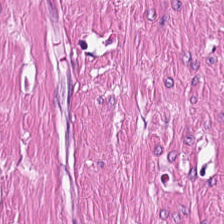Showing muscularis.
